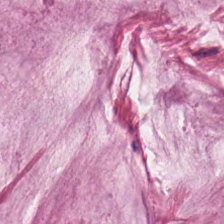224×224 px patch. WSI patch. Hematoxylin-and-eosin stained section — Showing mucus.
